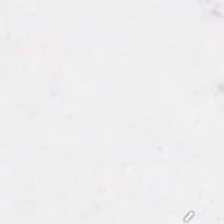Hematoxylin-and-eosin stained section · brightfield microscopy.
Histology → background (no tissue).
